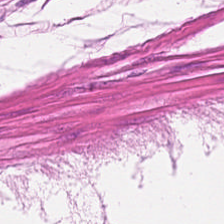Classification = muscularis.
